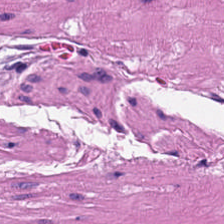Hematoxylin and eosin. 0.5 microns per pixel. Q: What tissue is shown?
A: This is smooth-muscle tissue.
